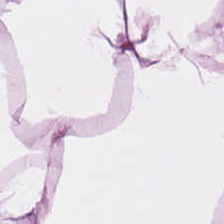224×224 px patch; hematoxylin and eosin; FFPE tissue section — {"tissue_type": "fat tissue"}
